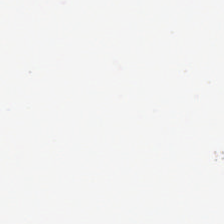Hematoxylin and eosin; whole-slide-image patch; formalin-fixed paraffin-embedded section — Field content: background.
